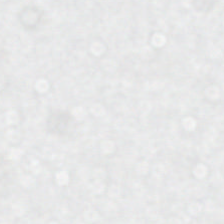H&E.
Impression → empty background.
